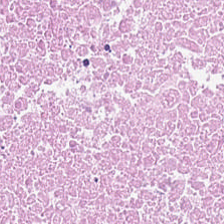WSI patch · 0.5 µm per pixel · H&E stain — Predominantly cellular debris.
